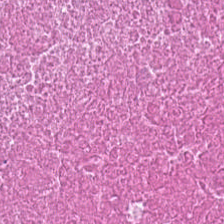224×224 px tile · hematoxylin-and-eosin stained section · FFPE.
Showing cellular debris.
